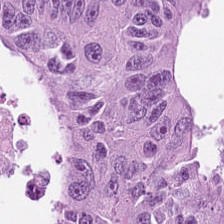This field is malignant epithelium.
